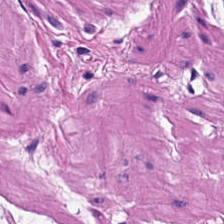Stain: H&E stain.
Resolution: 0.5 microns per pixel.
Acquisition: WSI patch.
Predominant tissue: smooth muscle.
